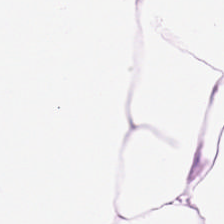H&E-stained tissue section.
Q: What is the predominant tissue type?
A: It is adipocytes.
